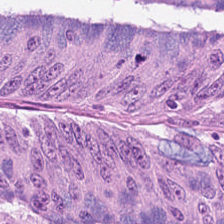0.5 µm/px · formalin-fixed paraffin-embedded section · hematoxylin-and-eosin stained section. Histology → tumor epithelium.
